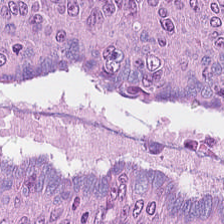H&E stain. Q: What type of tissue is this?
A: The field shows malignant epithelium.
